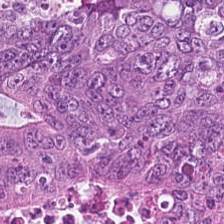Hematoxylin-and-eosin stained section; brightfield microscopy — Q: What does this patch show?
A: The field shows tumor epithelium.
